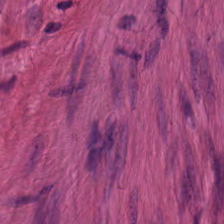H&E-stained tissue section. Showing smooth muscle.
